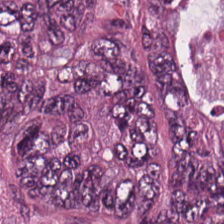H&E-stained tissue section. Whole-slide-image patch. Formalin-fixed paraffin-embedded section.
Malignant epithelium.
